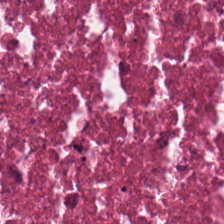224×224 px tile · brightfield · H&E. This patch shows necrotic debris.
